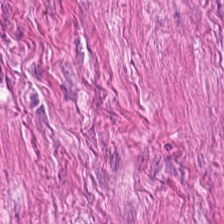H&E-stained tissue section.
Impression → muscularis.
